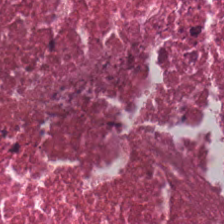H&E patch showing debris.
